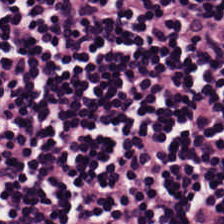Showing lymphocyte aggregate.
